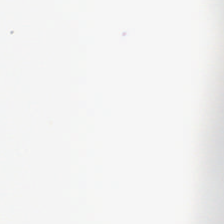This patch shows background.
